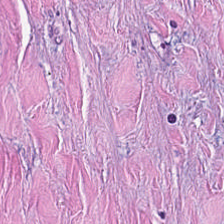Hematoxylin-and-eosin stained section — Predominantly desmoplastic stroma.
